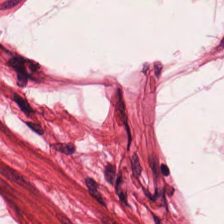Stain: hematoxylin-and-eosin stained section.
Preparation: formalin-fixed paraffin-embedded section.
Tissue type: muscularis.
